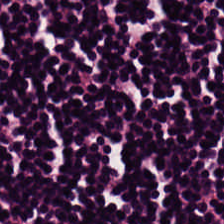Stain: hematoxylin and eosin.
Classification: lymphoid infiltrate.
